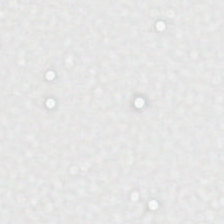Stain: hematoxylin-and-eosin stained section.
Content: empty background.
